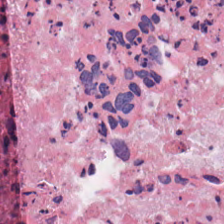0.5 µm per pixel. H&E stain. Classification = cellular debris.
